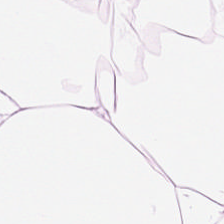Hematoxylin-and-eosin stained section.
The tissue class is adipocytes.
